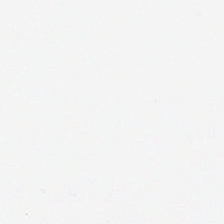Hematoxylin-and-eosin stained section — Empty field — empty background.
